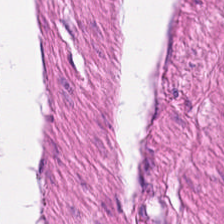Stain: H&E.
Tissue type: smooth muscle.
